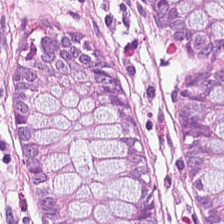Brightfield microscopy; H&E-stained tissue section. {"tissue_type": "benign colonic mucosa"}
